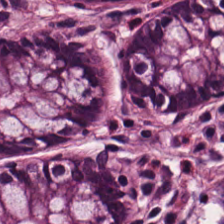The predominant tissue is normal colon mucosa.
